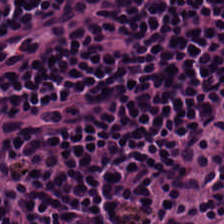H&E · FFPE tissue section.
Predominant tissue = lymphocytes.
